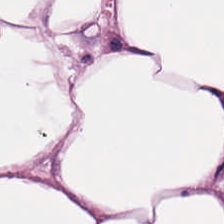Brightfield; FFPE tissue section; H&E-stained tissue section — Tissue = adipocytes.
